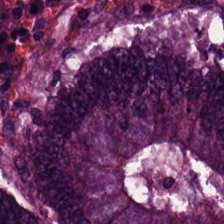FFPE; hematoxylin-and-eosin stained section; 20× equivalent magnification — Finding — malignant epithelium.
